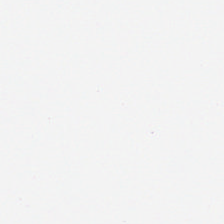0.5 µm/px · hematoxylin-and-eosin stained section. Q: What does this patch show?
A: Empty background.
